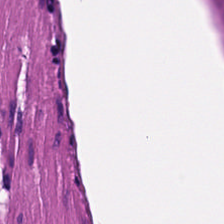FFPE tissue section · hematoxylin and eosin. Predominant tissue — smooth-muscle tissue.
